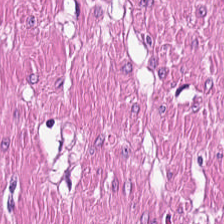20× equivalent magnification. Hematoxylin and eosin.
Tissue type — smooth muscle.
